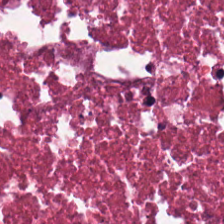H&E — Tissue type: debris.
